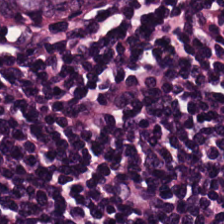H&E; 224×224 px tile — The tissue here is lymphocytic infiltrate.
